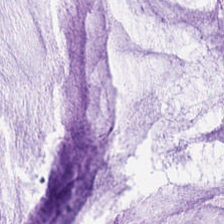224×224 px tile. H&E-stained tissue section. Q: What tissue type is shown here?
A: This is mucin.
